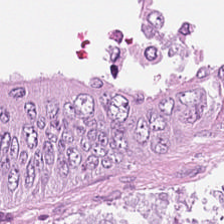Whole-slide-image patch · hematoxylin and eosin — The tissue is adenocarcinoma.
